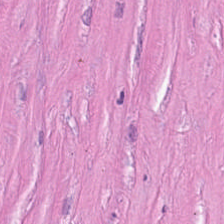Hematoxylin-and-eosin stained section; WSI patch; FFPE. Impression — tumor stroma.
